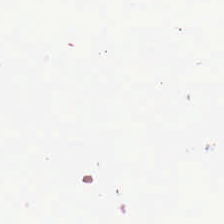Stain: H&E-stained tissue section.
Field content: no tissue.
